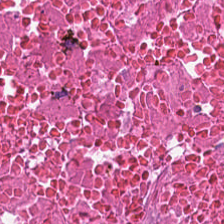H&E stain. Histology — cellular debris.
